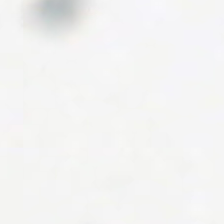H&E-stained tissue section — Histology → no tissue.
